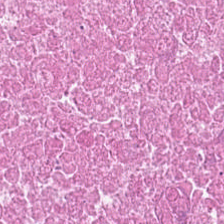FFPE. 224×224 px tile. Hematoxylin and eosin. Tissue class = debris.
